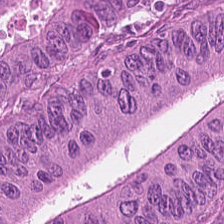Formalin-fixed paraffin-embedded section · 0.5 µm/px · H&E-stained tissue section. Predominantly colorectal adenocarcinoma.
